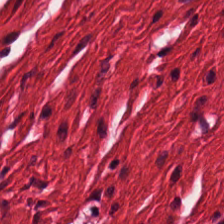H&E-stained tissue section.
Smooth-muscle tissue.
